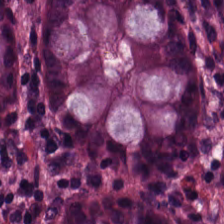Hematoxylin-and-eosin stained section. Whole-slide-image patch.
The tissue here is normal colon mucosa.
